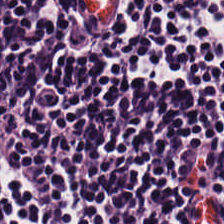Tissue type — lymphocytes.
